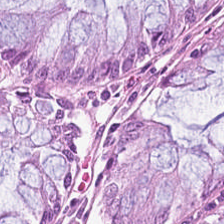H&E stain · 224×224 px patch.
Q: What is shown in this field?
A: This is non-neoplastic colon mucosa.
